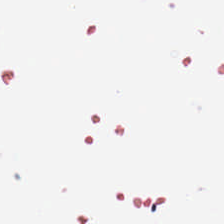H&E-stained tissue section.
Finding → empty background.
